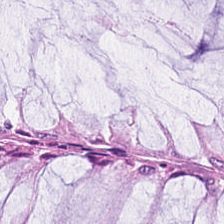Stain: H&E stain.
Tissue type: benign colonic mucosa.
